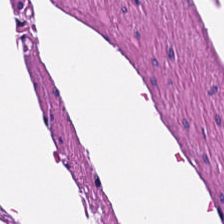H&E. Predominantly muscularis.
